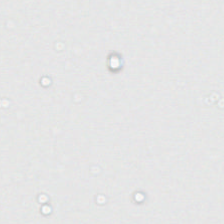Formalin-fixed paraffin-embedded section; H&E stain; brightfield microscopy.
Histology — background.
